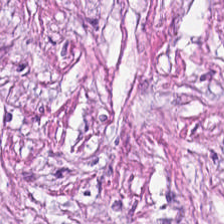WSI patch. Formalin-fixed paraffin-embedded section. Hematoxylin-and-eosin stained section. The predominant tissue is cancer-associated stroma.
